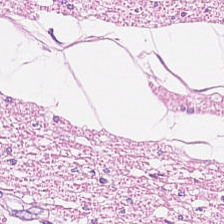Predominantly smooth muscle.
